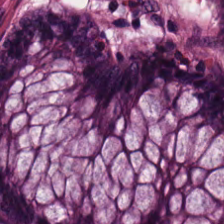H&E — {"tissue_type": "normal colonic mucosa"}
